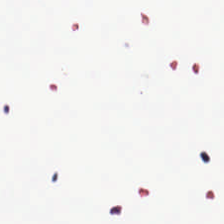Stain: hematoxylin-and-eosin stained section.
Content: empty background.
